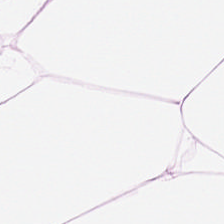H&E; 224×224 pixel tile. Tissue type — adipose tissue.
